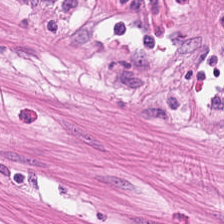H&E stain; FFPE tissue section. Tissue = smooth muscle.
